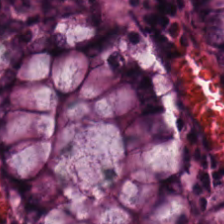H&E. Tissue — benign colonic mucosa.
